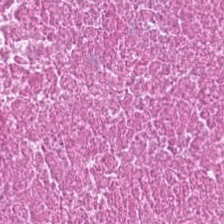Hematoxylin-and-eosin stained section · FFPE — Q: What is shown in this field?
A: Necrotic debris.
